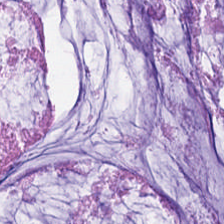Hematoxylin and eosin. 0.5 µm/px. 224×224 px tile. Tissue class = mucin.
